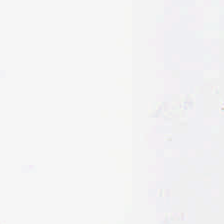H&E.
Empty background.
